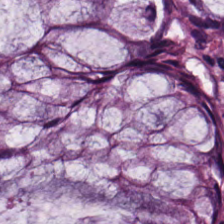The tissue is normal colon mucosa.
